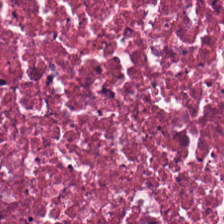H&E-stained tissue section · 224×224 px patch · FFPE tissue section. The predominant tissue is necrotic debris.
